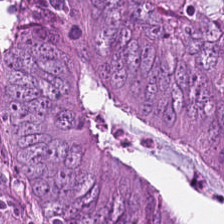Stain: hematoxylin and eosin.
Tissue class: malignant epithelium.
